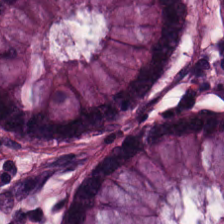H&E-stained tissue section. Histology — non-neoplastic colon mucosa.
